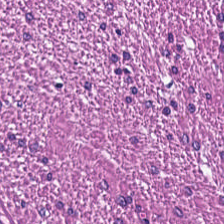The predominant tissue is muscularis.
